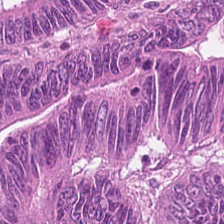H&E stain · 0.5 µm per pixel.
Q: What tissue type is shown here?
A: Tumor epithelium.
